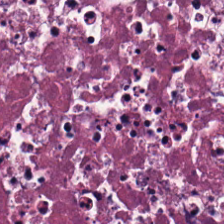H&E stain. Whole-slide-image patch. 0.5 µm/px — Showing cellular debris.
